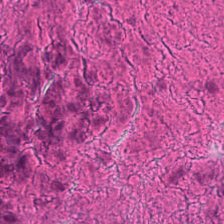H&E stain. Brightfield. 224×224 px tile.
Q: Classify this patch.
A: It is necrotic debris.
